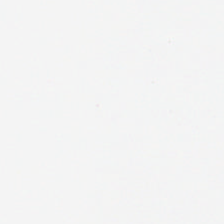H&E-stained tissue section · 224×224 px patch · 0.5 µm per pixel.
Q: What is shown here?
A: This is background (no tissue).
